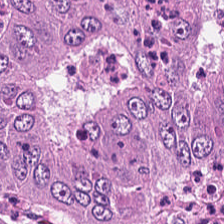H&E stain; formalin-fixed paraffin-embedded section — Classification = malignant epithelium.
